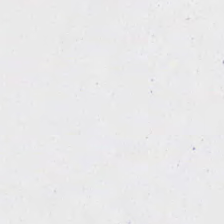H&E-stained tissue section. This patch shows background.
